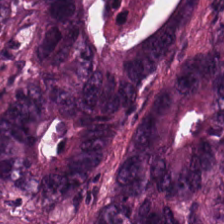Stain: H&E-stained tissue section.
Predominant tissue: tumor epithelium.
